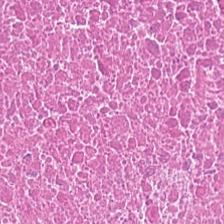H&E-stained tissue section. Formalin-fixed paraffin-embedded section. WSI patch — Q: What type of tissue is this?
A: Cellular debris.
